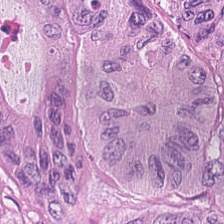H&E — Q: What is the predominant tissue type?
A: The field shows adenocarcinoma.
